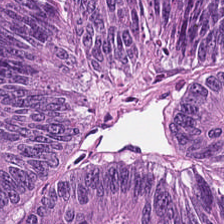Hematoxylin-and-eosin stained section. FFPE tissue section.
Predominantly colorectal adenocarcinoma epithelium.
